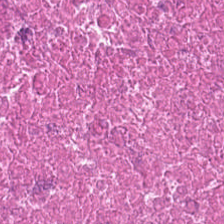Q: Identify the tissue.
A: The field shows necrotic debris.
